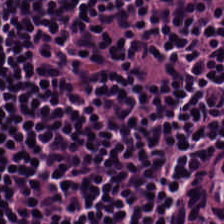Tissue type — lymphocyte aggregate.
